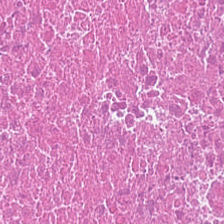H&E; 224×224 px patch — Classification: debris.
